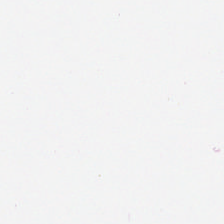H&E · 0.5 microns per pixel. Q: What does this patch show?
A: The field shows background (no tissue).
